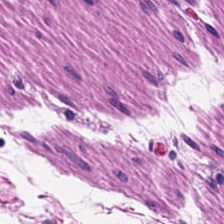Stain: hematoxylin-and-eosin stained section.
Acquisition: WSI patch.
Classification: smooth muscle.
